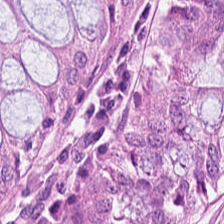Hematoxylin and eosin. The tissue here is benign colonic mucosa.
